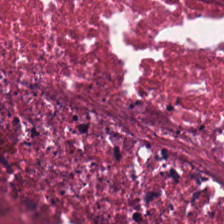Stain: hematoxylin-and-eosin stained section.
Acquisition: brightfield microscopy.
Tissue type: cellular debris.
